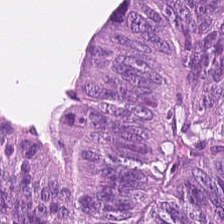Malignant epithelium.
